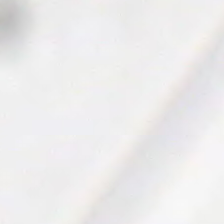H&E-stained tissue section — {"content": "background"}
